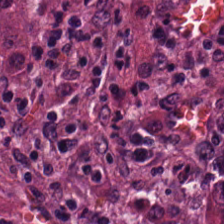Stain: H&E.
Resolution: 20× equivalent magnification.
Tissue: tumor stroma.
